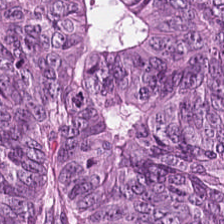H&E stain.
Impression — colorectal adenocarcinoma epithelium.
